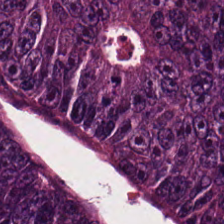Formalin-fixed paraffin-embedded section. Hematoxylin and eosin — The predominant tissue is adenocarcinoma.
